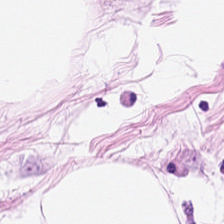20× equivalent magnification. Brightfield. H&E-stained tissue section.
Impression — adipose tissue.
